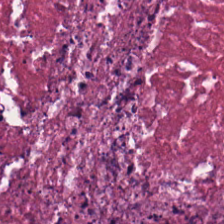H&E. Tissue type = debris.
